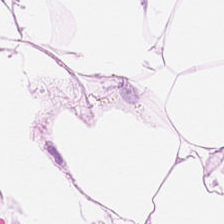Classification = fat tissue.
